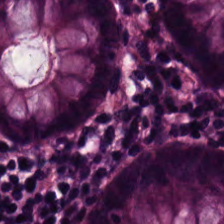H&E stain · brightfield microscopy · 0.5 µm/px.
{"tissue_type": "benign colonic mucosa"}
